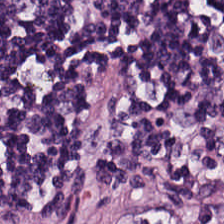H&E stain.
The tissue type is lymphocyte aggregate.
